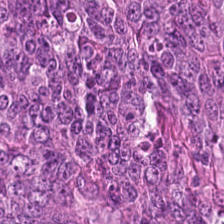224×224 px tile; H&E stain. Showing colorectal adenocarcinoma epithelium.
